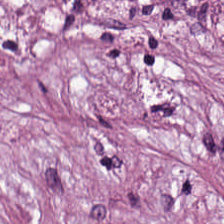This patch shows tumor-associated stroma.
